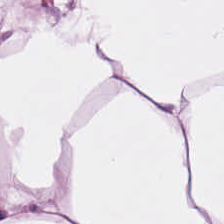H&E. Formalin-fixed paraffin-embedded section.
Q: What is shown in this field?
A: This is adipose tissue.
